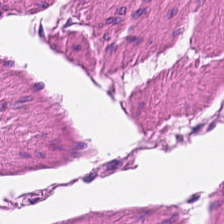Stain: hematoxylin and eosin.
Tissue: muscularis.
